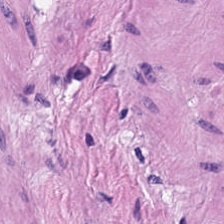{"tissue_type": "muscularis"}
